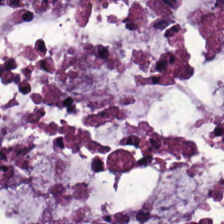0.5 microns per pixel · 224×224 px tile · hematoxylin and eosin. Tissue class = mucin.
